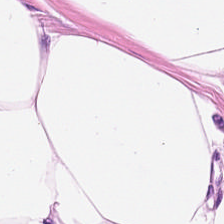0.5 µm per pixel; H&E-stained tissue section.
Histology → fat tissue.
